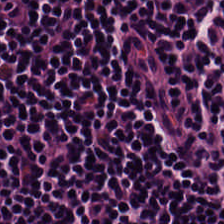Histology → lymphocytes.
